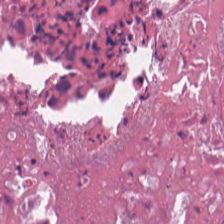Brightfield microscopy; 20× equivalent magnification; H&E-stained tissue section.
Predominant tissue: cellular debris.
